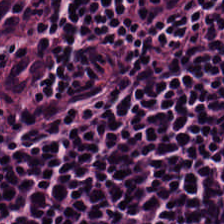FFPE tissue section; 0.5 µm/px; H&E-stained tissue section — Predominantly lymphocytic infiltrate.
